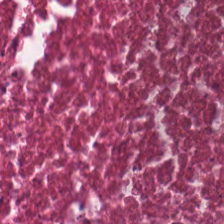Hematoxylin and eosin · brightfield · 0.5 microns per pixel — Q: What tissue is shown?
A: Necrotic debris.
